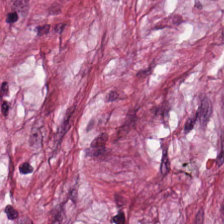0.5 µm/px · H&E. The tissue here is desmoplastic stroma.
